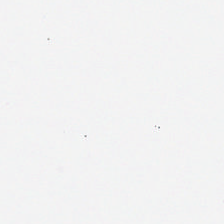224×224 px tile · H&E-stained tissue section.
{"content": "background"}
